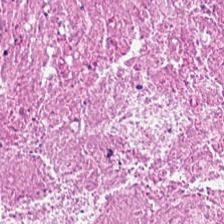Hematoxylin and eosin. Predominantly necrotic debris.
